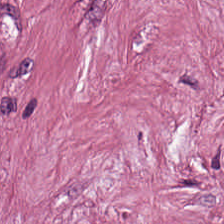Brightfield; H&E.
This patch shows cancer-associated stroma.
